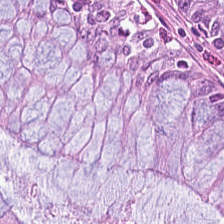H&E stain. Showing non-neoplastic colon mucosa.
